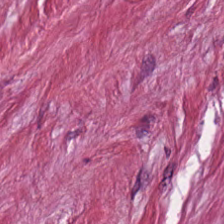Tissue type — desmoplastic stroma.
